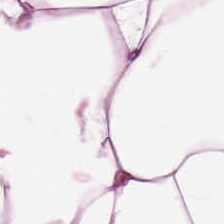Q: What type of tissue is this?
A: This is adipocytes.
